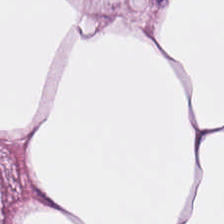Stain: H&E.
Preparation: formalin-fixed paraffin-embedded section.
Tissue class: adipocytes.
